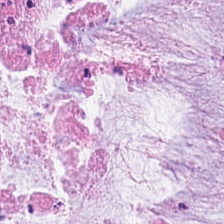0.5 µm per pixel · hematoxylin and eosin.
Q: Identify the tissue.
A: Mucin.
